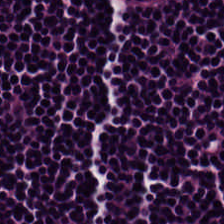Stain: H&E.
Tissue class: lymphocytes.
